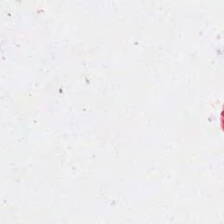FFPE tissue section · H&E-stained tissue section — Q: What is shown here?
A: The field shows background (no tissue).
